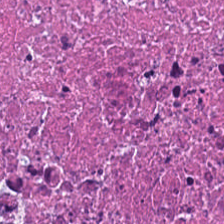WSI patch · FFPE tissue section · hematoxylin-and-eosin stained section. The predominant tissue is debris.
